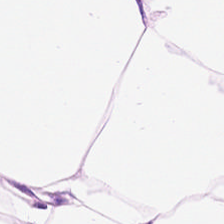Hematoxylin-and-eosin stained section.
The tissue here is adipocytes.
